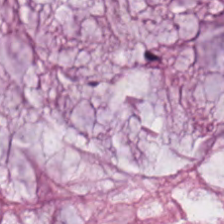Q: What tissue is shown?
A: It is extracellular mucin.
